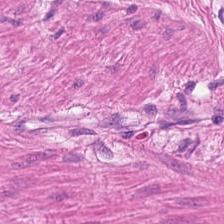20× equivalent magnification. Hematoxylin-and-eosin stained section. Brightfield.
Tissue type = smooth-muscle tissue.
